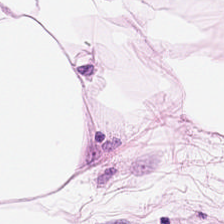H&E-stained tissue section · 20× equivalent magnification.
Showing fat tissue.
